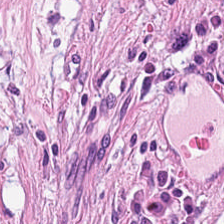Stain: H&E-stained tissue section.
Tile size: 224×224 pixel tile.
Tissue type: tumor-associated stroma.
